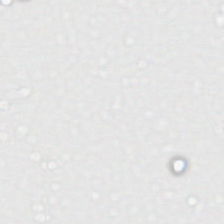Histology — no tissue.
